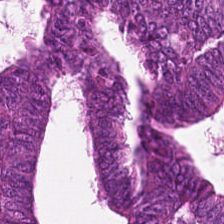Q: Classify this patch.
A: The field shows adenocarcinoma.
